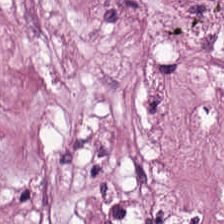H&E stain. FFPE tissue section.
Q: What is shown in this field?
A: This is tumor-associated stroma.
